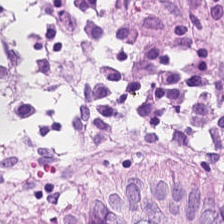0.5 µm/px · H&E stain · whole-slide-image patch.
Classification = normal colon mucosa.
